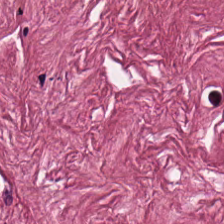Hematoxylin-and-eosin stained section.
Tissue — desmoplastic stroma.
